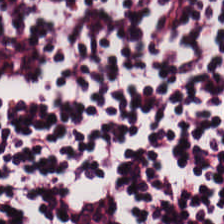H&E — Predominantly lymphocytic infiltrate.
